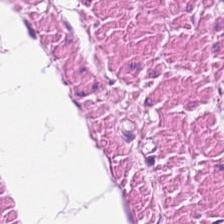Formalin-fixed paraffin-embedded section; H&E-stained tissue section; 224×224 px tile. This field is muscularis.
